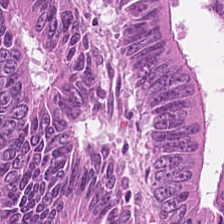Hematoxylin and eosin — Tissue: malignant epithelium.
